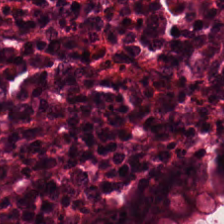Stain: hematoxylin-and-eosin stained section.
Tissue: benign colonic mucosa.
